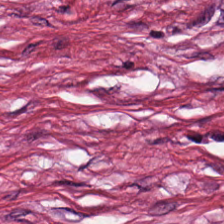H&E stain.
Q: What is shown in this field?
A: It is tumor-associated stroma.
